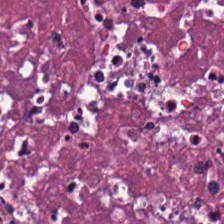Hematoxylin-and-eosin stained section — Q: What type of tissue is this?
A: This is debris.
